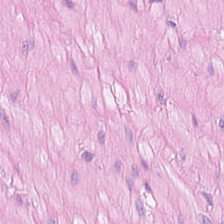H&E-stained tissue section · 0.5 µm per pixel.
The tissue type is smooth-muscle tissue.
